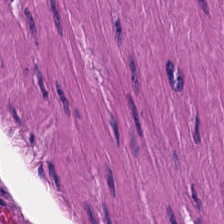Showing smooth-muscle tissue.
